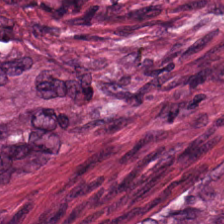224×224 px patch · H&E-stained tissue section. Histology → tumor-associated stroma.
